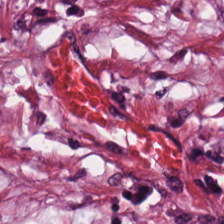WSI patch. FFPE tissue section. H&E stain — The tissue here is tumor stroma.
